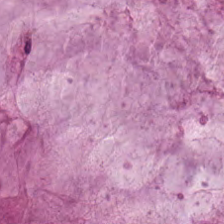Hematoxylin-and-eosin section: mucin.
